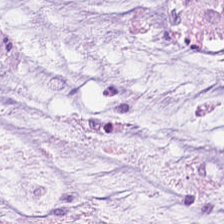H&E-stained tissue section.
The predominant tissue is mucus.
